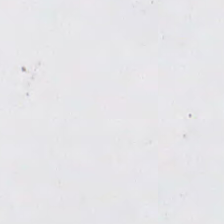H&E stain. Whole-slide-image patch. Empty field — background.
